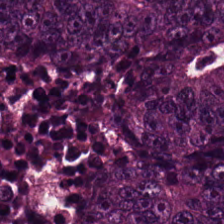Hematoxylin-and-eosin stained section — Q: What type of tissue is this?
A: The field shows adenocarcinoma.
